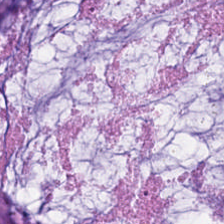The tissue is extracellular mucin.
